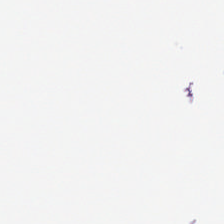No tissue present; background only.
